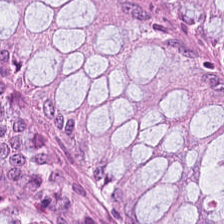H&E-stained tissue section — Tissue class — normal colon mucosa.
